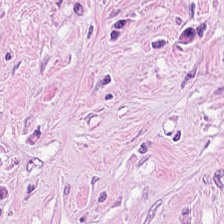Stain: hematoxylin-and-eosin stained section.
Tissue: cancer-associated stroma.
